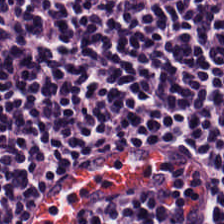H&E-stained tissue section · formalin-fixed paraffin-embedded section. The predominant tissue is lymphoid infiltrate.
